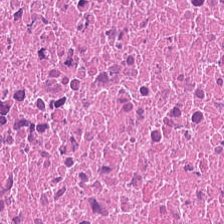Whole-slide-image patch. H&E. FFPE. Q: What does this patch show?
A: This is debris.
